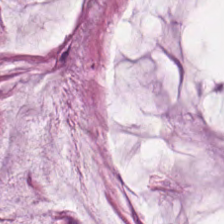Mucin.
